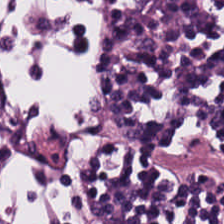Brightfield microscopy; FFPE tissue section; H&E-stained tissue section.
Classification: lymphocyte aggregate.
